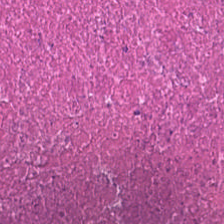Stain: H&E.
Predominant tissue: cellular debris.
